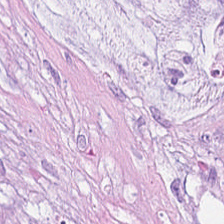Stain: hematoxylin-and-eosin stained section.
Tissue type: mucin.
